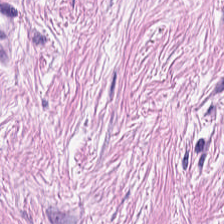224×224 px patch. H&E.
Q: What is shown here?
A: It is desmoplastic stroma.
